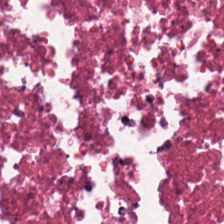H&E stain. Showing necrotic debris.
